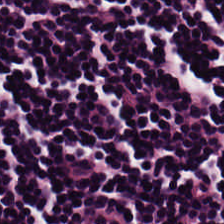224×224 pixel tile · formalin-fixed paraffin-embedded section · H&E.
The predominant tissue is lymphoid infiltrate.
